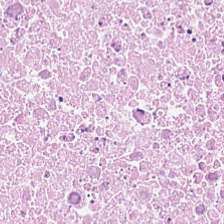H&E-stained tissue section.
Q: What tissue type is shown here?
A: This is necrotic debris.
